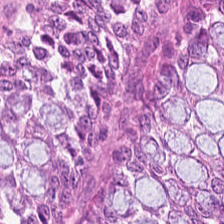Hematoxylin and eosin — This patch shows normal colon mucosa.
